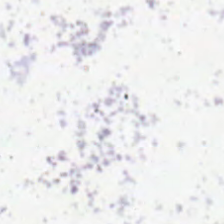Hematoxylin-and-eosin stained section. Background — no tissue in this field.
